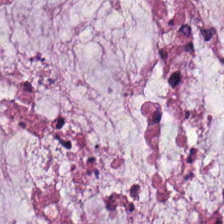H&E-stained tissue section.
Finding — mucus.
